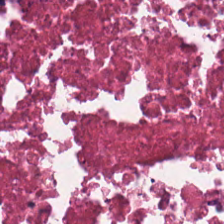Stain: hematoxylin and eosin.
Acquisition: WSI patch.
Resolution: 0.5 µm/px.
Tissue class: debris.
